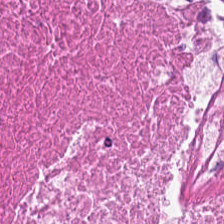0.5 µm per pixel · hematoxylin and eosin. Q: What is the predominant tissue type?
A: This is cellular debris.
